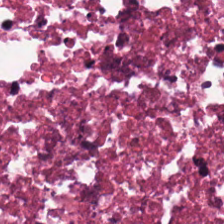224×224 px tile; 20× equivalent magnification; H&E stain. The tissue is cellular debris.
